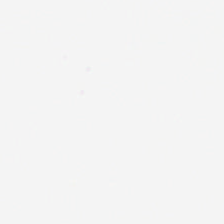FFPE tissue section · H&E — Impression → background (no tissue).
